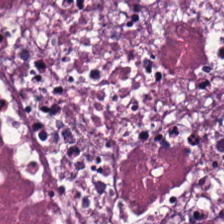The predominant tissue is debris.
